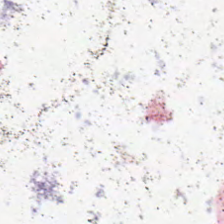H&E stain — Empty field — background.
